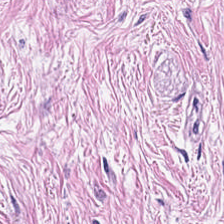Hematoxylin-and-eosin stained section. 224×224 px patch. This field is cancer-associated stroma.
